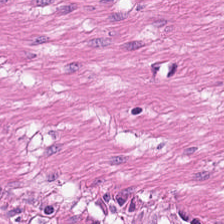Stain: hematoxylin and eosin.
Tissue: smooth-muscle tissue.
